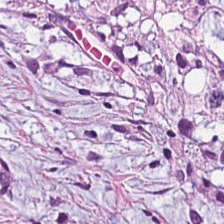Hematoxylin-and-eosin section: desmoplastic stroma.
